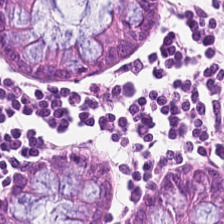H&E · formalin-fixed paraffin-embedded section.
Tissue class: normal colon mucosa.
